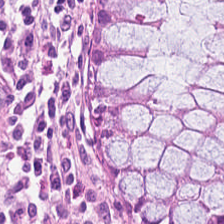FFPE · hematoxylin and eosin.
The predominant tissue is normal colon mucosa.
